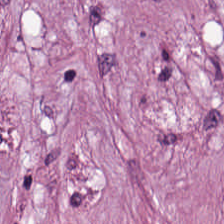Hematoxylin and eosin · 0.5 microns per pixel — The tissue here is tumor-associated stroma.
